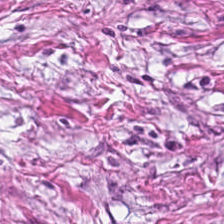Classification: desmoplastic stroma.
